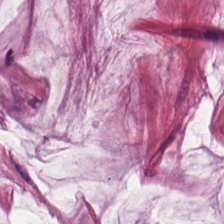Hematoxylin and eosin — Q: What tissue is shown?
A: Mucus.
